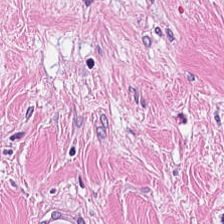H&E stain.
This patch shows cancer-associated stroma.
